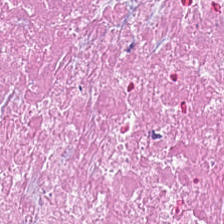0.5 µm per pixel. H&E-stained tissue section — Showing necrotic debris.
